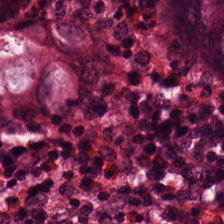Tissue type: benign colonic mucosa.
